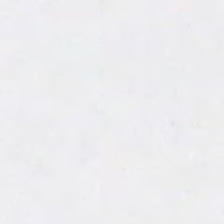H&E stain — Histology → empty background.
